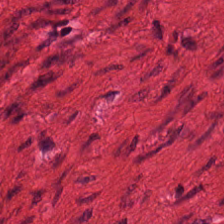Showing smooth-muscle tissue.
